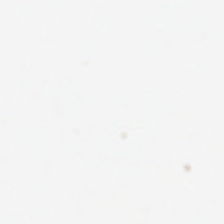Empty field — background (no tissue).
